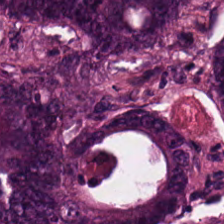Brightfield; H&E stain; 224×224 px tile. Q: What type of tissue is this?
A: The field shows colorectal adenocarcinoma.
